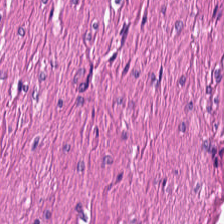Hematoxylin-and-eosin stained section — Q: What is shown here?
A: It is smooth muscle.
